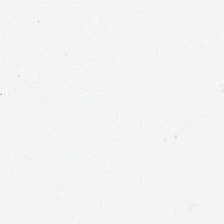H&E-stained tissue section — Field content = background.
